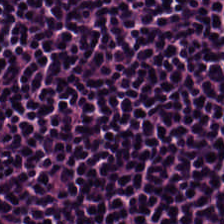Classification: lymphocytes.
